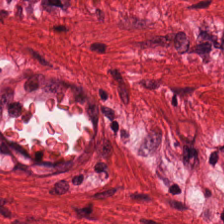Q: What tissue type is shown here?
A: It is smooth muscle.
